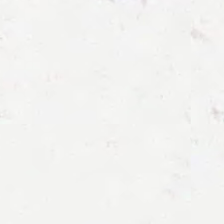H&E-stained tissue section. This patch shows no tissue.
